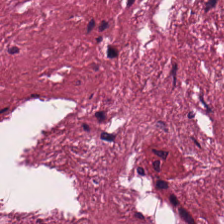Hematoxylin-and-eosin stained section. Tissue — tumor stroma.
